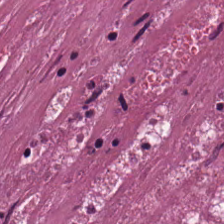H&E — The tissue is debris.
